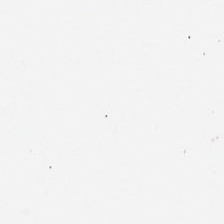0.5 µm/px · hematoxylin and eosin — No tissue present; background only.
